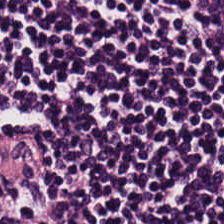H&E-stained tissue section. Histology — lymphoid infiltrate.
